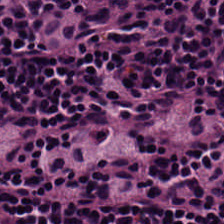H&E stain — Tissue type = lymphocyte aggregate.
